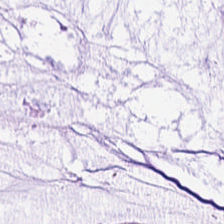Hematoxylin-and-eosin stained section — Tissue class: mucin.
